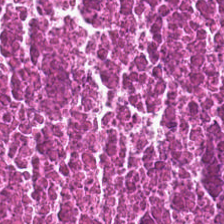0.5 µm/px · FFPE · H&E — This field is necrotic debris.
